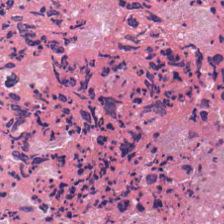Tissue class — debris.
